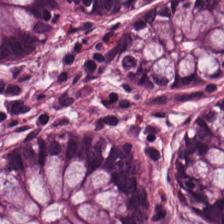Stain: hematoxylin-and-eosin stained section.
Tissue type: normal colonic mucosa.
